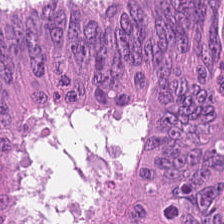Hematoxylin and eosin. Predominantly colorectal adenocarcinoma epithelium.
